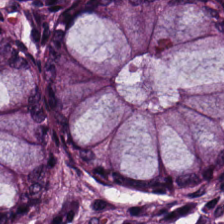Stain: hematoxylin and eosin.
Preparation: FFPE.
Tissue type: benign colonic mucosa.
